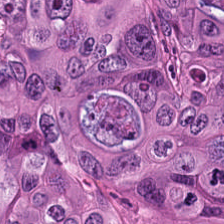{"tissue_type": "malignant epithelium"}
